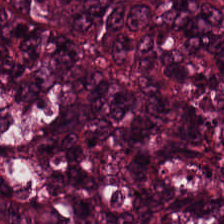Hematoxylin and eosin · FFPE. Q: What tissue is shown?
A: This is colorectal adenocarcinoma epithelium.
